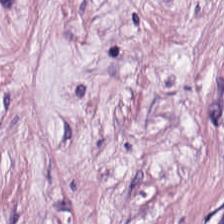Brightfield. 20× equivalent magnification. Hematoxylin and eosin — Q: Classify this patch.
A: The field shows desmoplastic stroma.
